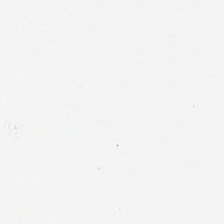Hematoxylin and eosin — Finding → no tissue.
